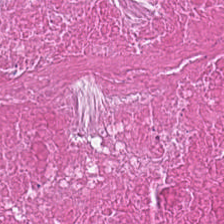Stain: H&E.
Preparation: FFPE tissue section.
Tissue type: debris.
